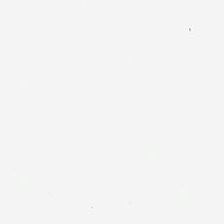H&E.
Empty background.
